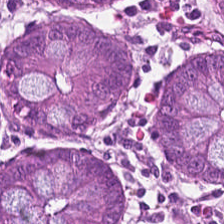H&E-stained tissue section. 0.5 µm per pixel. Formalin-fixed paraffin-embedded section.
Finding → benign colonic mucosa.
